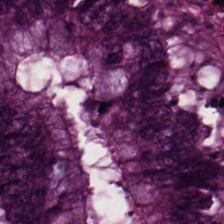H&E. Histology → benign colonic mucosa.
